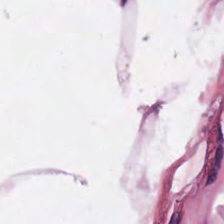224×224 px patch. H&E stain — Histology — adipose.
